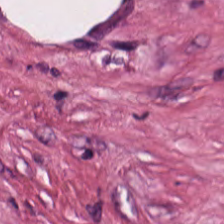0.5 µm per pixel · hematoxylin-and-eosin stained section. Classification = desmoplastic stroma.
